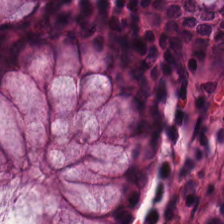Hematoxylin and eosin — The predominant tissue is normal colonic mucosa.
